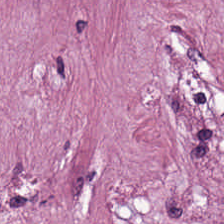Tissue: cancer-associated stroma.
